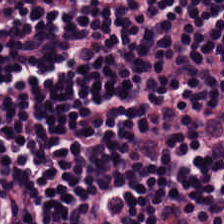Hematoxylin and eosin. Whole-slide-image patch — Tissue type — lymphoid infiltrate.
